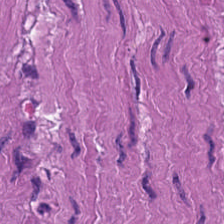H&E stain.
Classification: smooth-muscle tissue.
